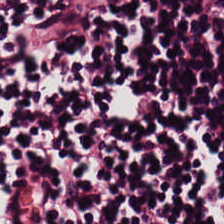Predominantly lymphocytic infiltrate.
